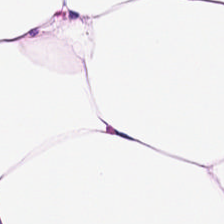Hematoxylin-and-eosin stained section. 224×224 px patch. 0.5 µm per pixel.
The tissue here is adipose.
